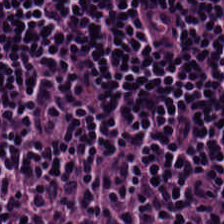Hematoxylin-and-eosin stained section. Finding — lymphocytes.
